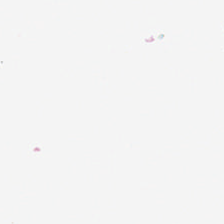0.5 µm per pixel; H&E-stained tissue section.
Background (no tissue).
